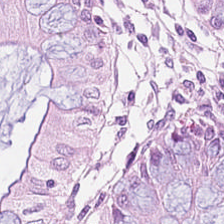Stain: H&E.
Tile size: 224×224 px tile.
Tissue: normal colonic mucosa.
